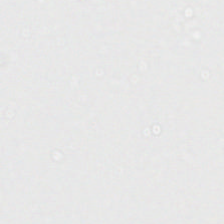Content = background (no tissue).
